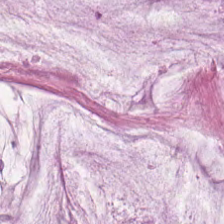Brightfield microscopy. Hematoxylin-and-eosin stained section. FFPE — Tissue class: extracellular mucin.
